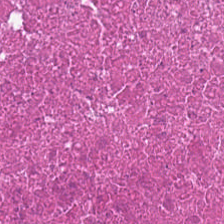H&E stain — Predominant tissue — necrotic debris.
